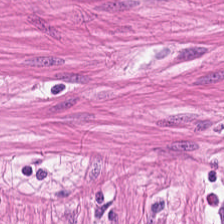Hematoxylin and eosin.
Tissue class = muscularis.
